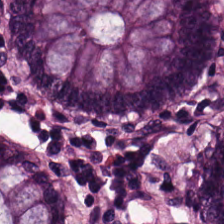H&E — {"tissue_type": "normal colon mucosa"}
